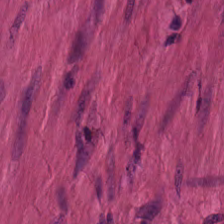H&E stain — {"tissue_type": "muscularis"}
